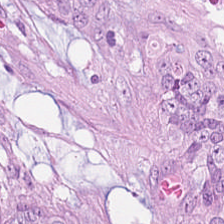H&E. Q: What is shown in this field?
A: The field shows malignant epithelium.
